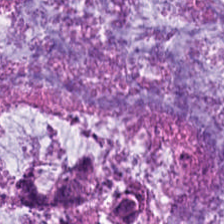Hematoxylin-and-eosin section: extracellular mucin.
